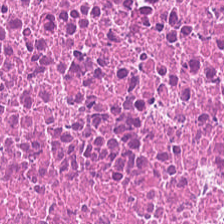H&E-stained tissue section; FFPE — Tissue: necrotic debris.
